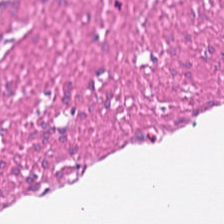Brightfield microscopy. Hematoxylin and eosin. 0.5 µm/px — The tissue here is smooth muscle.
